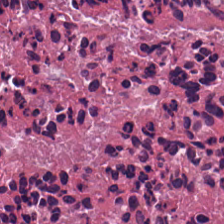H&E. Brightfield. 224×224 pixel tile.
The tissue class is necrotic debris.
